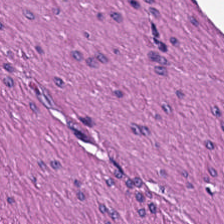H&E. Tissue: smooth-muscle tissue.
